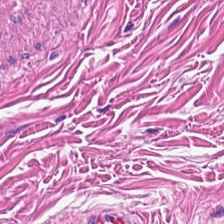FFPE. Hematoxylin-and-eosin stained section. 0.5 µm per pixel.
The predominant tissue is muscularis.
